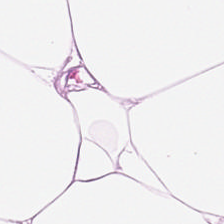Predominantly adipose.
